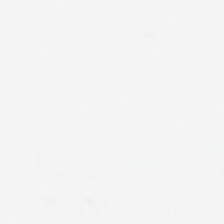Brightfield microscopy · H&E stain. Q: What is shown here?
A: This is background.
